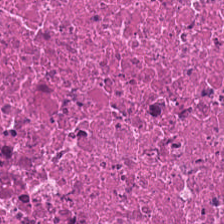Showing debris.
